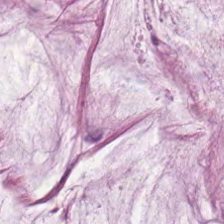FFPE; hematoxylin-and-eosin stained section. Q: What is shown here?
A: The field shows mucin.
